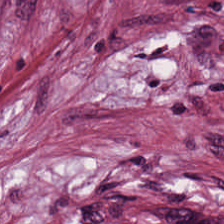Hematoxylin and eosin — The tissue here is desmoplastic stroma.
